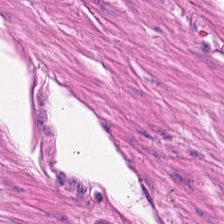Hematoxylin and eosin.
This field is smooth-muscle tissue.
